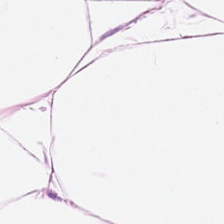Hematoxylin and eosin; FFPE tissue section; brightfield microscopy. Tissue = fat tissue.
